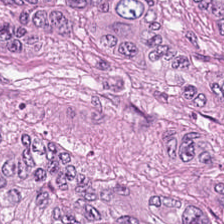Brightfield. H&E stain.
Finding → adenocarcinoma.
